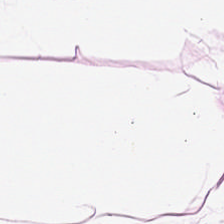224×224 px tile; 0.5 microns per pixel; H&E stain. Predominantly adipocytes.
